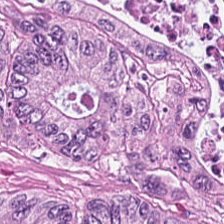Q: What is shown in this field?
A: Colorectal adenocarcinoma epithelium.
